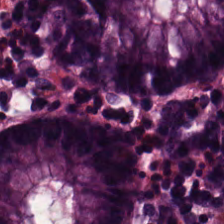H&E stain — Predominant tissue: benign colonic mucosa.
